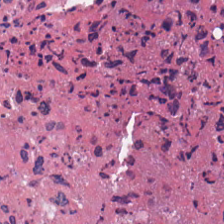H&E stain; 0.5 microns per pixel. Q: What tissue is shown?
A: This is cellular debris.
